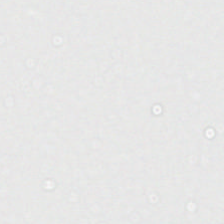Stain: H&E stain.
Content: background (no tissue).
